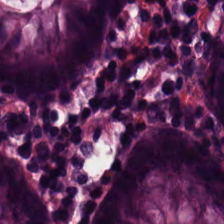{"tissue_type": "normal colon mucosa"}
